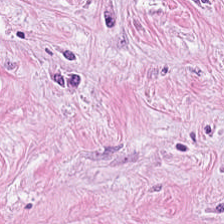Tissue — desmoplastic stroma.
